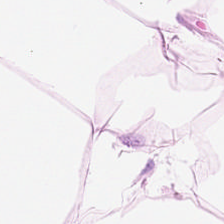H&E-stained section; the field shows adipose tissue.
